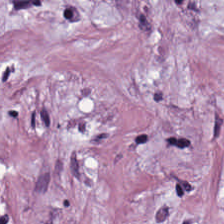H&E-stained tissue section showing desmoplastic stroma.
